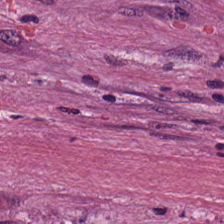20× equivalent magnification; brightfield; H&E stain. Tissue: desmoplastic stroma.
